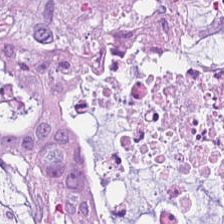H&E — extracellular mucin.
